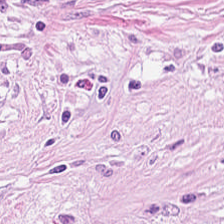Q: What tissue is shown?
A: It is desmoplastic stroma.
